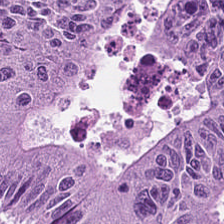H&E stain.
Adenocarcinoma.
